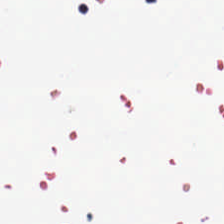Stain: hematoxylin-and-eosin stained section.
Classification: empty background.
